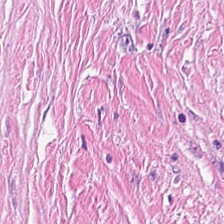H&E-stained tissue section · 224×224 px patch. Histology — cancer-associated stroma.
